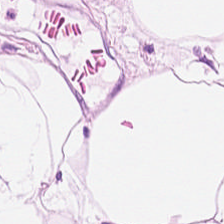Stain: H&E-stained tissue section.
Preparation: FFPE.
Resolution: 0.5 µm/px.
Predominant tissue: adipose.
